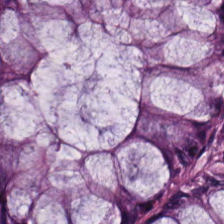H&E stain — Non-neoplastic colon mucosa.
